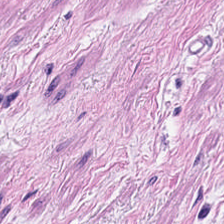0.5 µm/px · H&E-stained tissue section.
Histology → smooth muscle.
